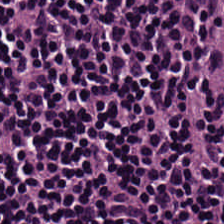H&E patch showing lymphocyte aggregate.
